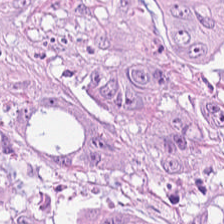Showing colorectal adenocarcinoma.
